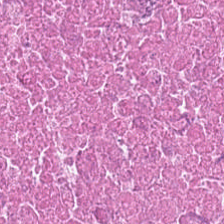H&E stain — The predominant tissue is necrotic debris.
